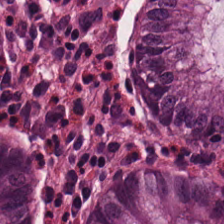H&E-stained tissue section. Tissue type = normal colonic mucosa.
